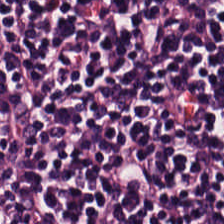Lymphocytic infiltrate.
